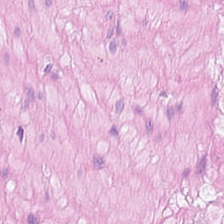Stain: H&E-stained tissue section.
Tissue class: smooth muscle.
